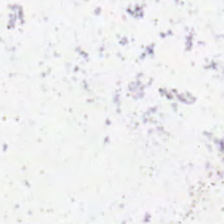Stain: H&E stain.
Tile size: 224×224 pixel tile.
Content: background (no tissue).
